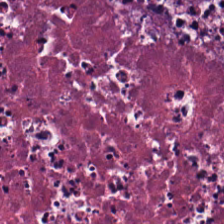Q: What is the predominant tissue type?
A: Cellular debris.
